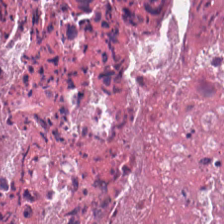H&E. The tissue here is necrotic debris.
